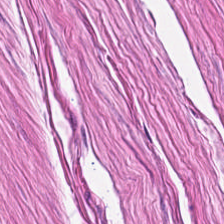Stain: H&E stain.
Classification: muscularis.
